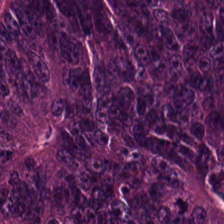H&E stain. FFPE. Finding → colorectal adenocarcinoma.
